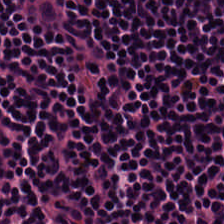Hematoxylin and eosin. FFPE tissue section. Brightfield. Impression — lymphocytes.
